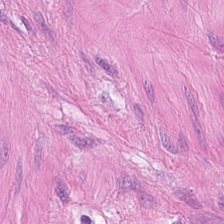Stain: H&E-stained tissue section.
Resolution: 0.5 µm/px.
Tile size: 224×224 px patch.
Predominant tissue: smooth muscle.
